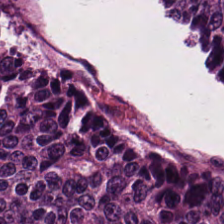H&E stain — Predominant tissue — malignant epithelium.
